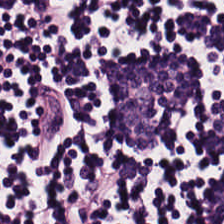H&E-stained tissue section. The predominant tissue is lymphocytes.
